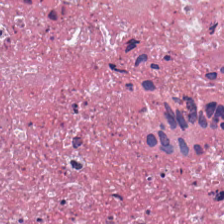H&E-stained tissue section — Tissue class — cellular debris.
